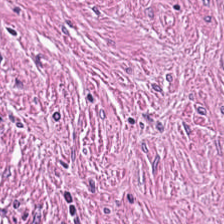0.5 µm per pixel. H&E. Tissue: desmoplastic stroma.
